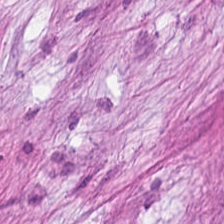Cancer-associated stroma.
